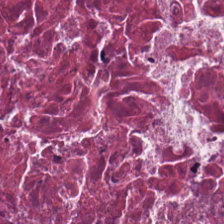224×224 px patch; hematoxylin and eosin; formalin-fixed paraffin-embedded section. This field is debris.
